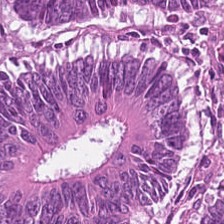Stain: hematoxylin and eosin.
Preparation: FFPE.
Tissue type: adenocarcinoma.
